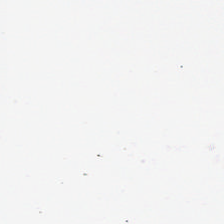Formalin-fixed paraffin-embedded section. H&E stain.
Q: Classify this patch.
A: It is empty background.
